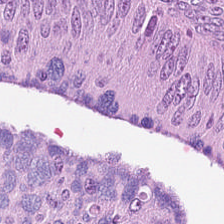H&E stain — Showing malignant epithelium.
